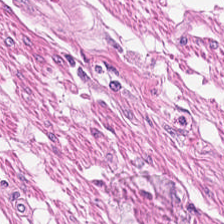20× equivalent magnification · hematoxylin and eosin.
Showing muscularis.
